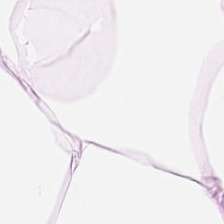Stain: H&E stain.
Classification: adipocytes.
